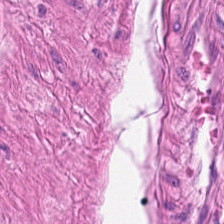Tissue class — smooth muscle.
